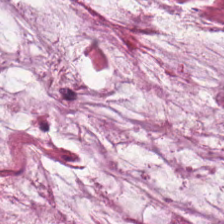H&E-stained tissue section · 0.5 microns per pixel.
Q: What tissue type is shown here?
A: It is extracellular mucin.
